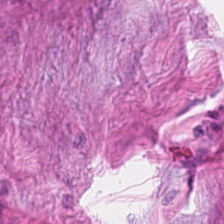Tissue class = cancer-associated stroma.
